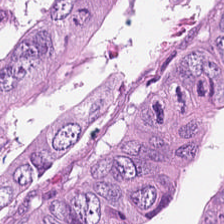This patch shows tumor epithelium.
